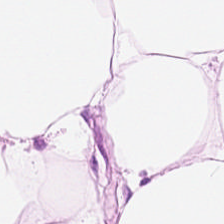Predominantly adipose.
